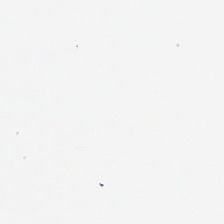Brightfield. Hematoxylin and eosin — Impression → background.
